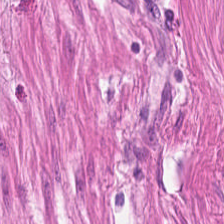Formalin-fixed paraffin-embedded section; 0.5 µm/px; H&E-stained tissue section. Finding → smooth muscle.
